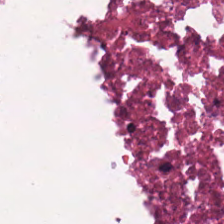H&E. FFPE.
Finding — debris.
